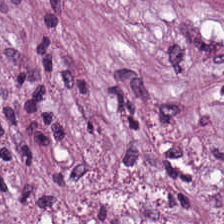The classification is tumor stroma.
